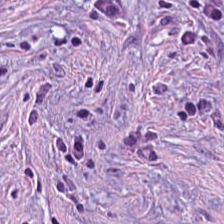Histology — tumor stroma.
